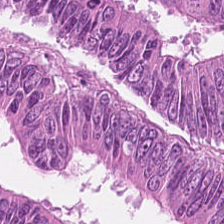H&E · brightfield microscopy. Q: What tissue type is shown here?
A: It is malignant epithelium.
